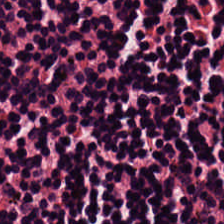Stain: H&E-stained tissue section.
Tissue type: lymphoid infiltrate.
